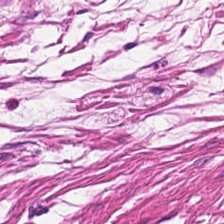H&E patch showing muscularis.
